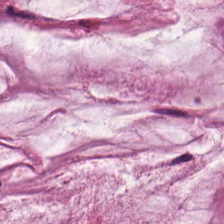Hematoxylin-and-eosin stained section. Classification = mucin.
